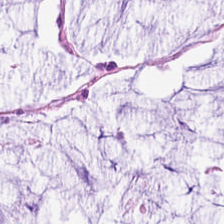0.5 µm/px. FFPE tissue section. H&E-stained tissue section.
The tissue class is mucus.
